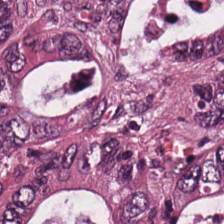H&E. 224×224 px tile — Histology → colorectal adenocarcinoma epithelium.
